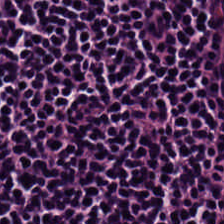H&E-stained tissue section — The predominant tissue is lymphocyte aggregate.
